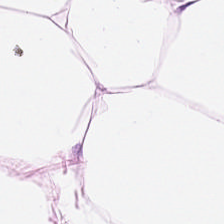H&E stain. {"tissue_type": "adipocytes"}
